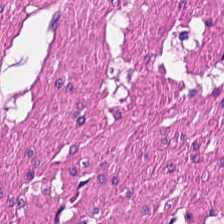0.5 µm per pixel; hematoxylin-and-eosin stained section — Predominant tissue: muscularis.
